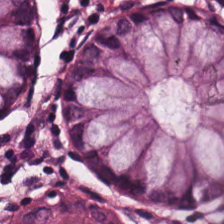H&E-stained tissue section showing normal colonic mucosa.
